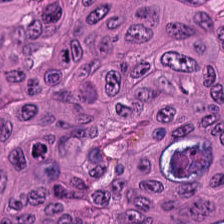Q: What type of tissue is this?
A: The field shows tumor epithelium.
